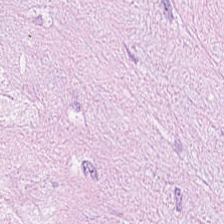H&E-stained tissue section.
The tissue type is tumor-associated stroma.
